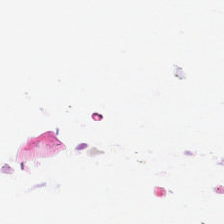Stain: hematoxylin and eosin.
Field content: background (no tissue).
